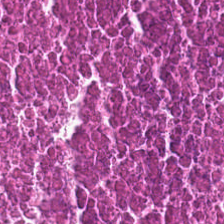H&E-stained tissue section — The predominant tissue is necrotic debris.
